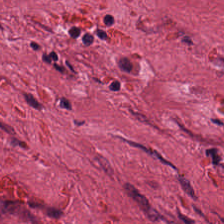Hematoxylin-and-eosin stained section. The tissue is desmoplastic stroma.
